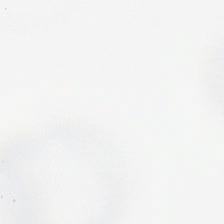The content is background (no tissue).
